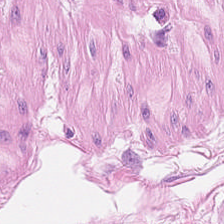Tissue type — smooth-muscle tissue.
